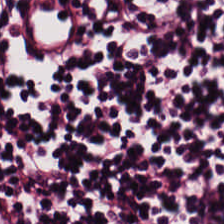This patch shows lymphocyte aggregate.
